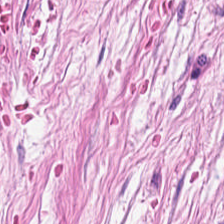FFPE; hematoxylin-and-eosin stained section. {"tissue_type": "tumor-associated stroma"}
